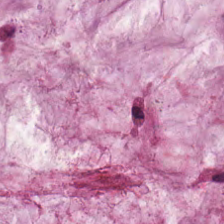H&E-stained tissue section. Whole-slide-image patch — The predominant tissue is mucus.
